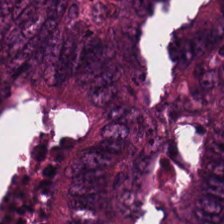Predominantly adenocarcinoma.
